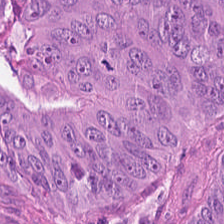Hematoxylin-and-eosin stained section — Histology — tumor epithelium.
